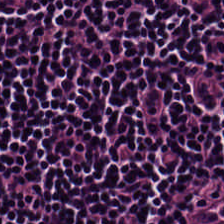H&E — Showing lymphocytic infiltrate.
